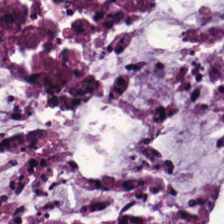Hematoxylin-and-eosin stained section — Classification: extracellular mucin.
